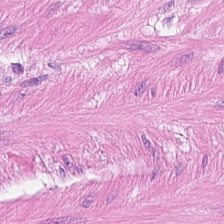Q: What tissue is shown?
A: This is smooth muscle.
